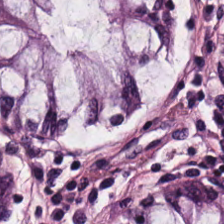Stain: hematoxylin-and-eosin stained section.
Preparation: FFPE tissue section.
Tissue: normal colonic mucosa.
